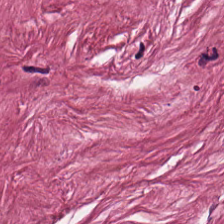H&E; 224×224 pixel tile.
Q: What is shown in this field?
A: It is desmoplastic stroma.
